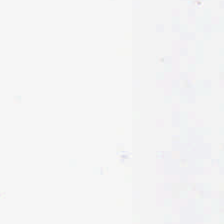Q: What is shown here?
A: This is background.
